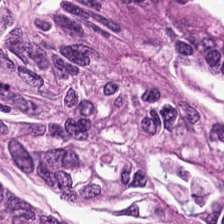H&E patch showing malignant epithelium.
